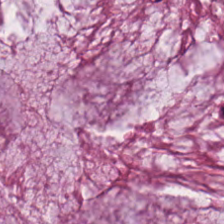224×224 pixel tile. Hematoxylin and eosin. FFPE tissue section.
Tissue = mucus.
